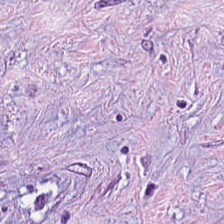Whole-slide-image patch; FFPE; hematoxylin-and-eosin stained section.
Tissue class — tumor stroma.
